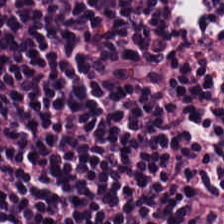20× equivalent magnification. H&E stain. The tissue here is lymphocytes.
